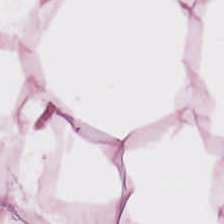Whole-slide-image patch. H&E-stained tissue section. The classification is fat tissue.
